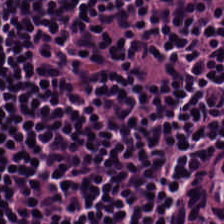H&E — The predominant tissue is lymphocyte aggregate.
